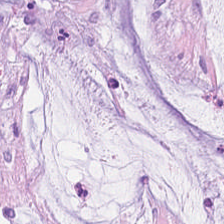Stain: hematoxylin and eosin.
Classification: extracellular mucin.
